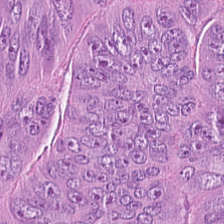FFPE tissue section · brightfield microscopy · hematoxylin-and-eosin stained section — Q: What is shown in this field?
A: This is colorectal adenocarcinoma epithelium.
